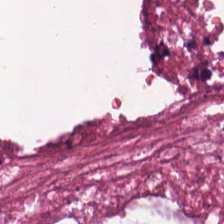H&E-stained tissue section — The tissue class is debris.
